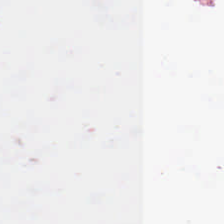Formalin-fixed paraffin-embedded section · hematoxylin-and-eosin stained section. Empty field — background.
